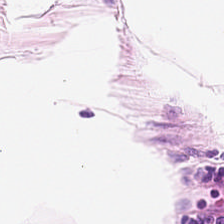Stain: hematoxylin-and-eosin stained section.
Tissue: adipocytes.
